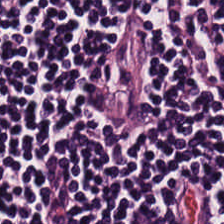Showing lymphoid infiltrate.
